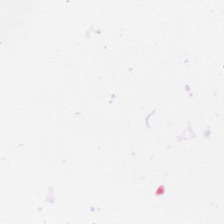H&E stain.
Histology → background (no tissue).
